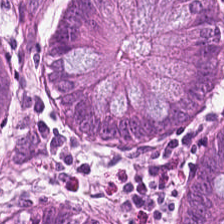Stain: H&E stain.
Classification: benign colonic mucosa.
